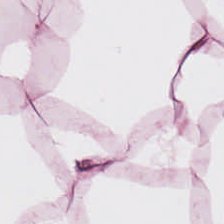FFPE; hematoxylin and eosin; WSI patch. The tissue here is adipocytes.
